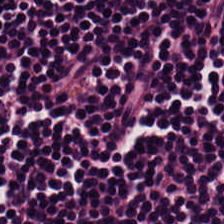0.5 µm per pixel. Hematoxylin-and-eosin stained section. The predominant tissue is lymphocytic infiltrate.
